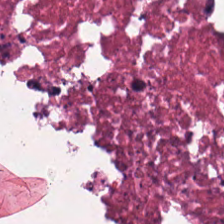Hematoxylin-and-eosin stained section — Tissue class: debris.
